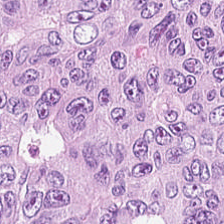Stain: hematoxylin and eosin.
Resolution: 20× equivalent magnification.
Tissue type: adenocarcinoma.
